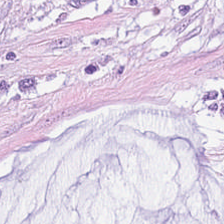Q: What tissue type is shown here?
A: This is mucin.
